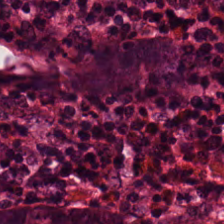0.5 microns per pixel. Whole-slide-image patch. Hematoxylin and eosin.
Q: What does this patch show?
A: Normal colon mucosa.
